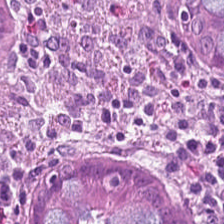Stain: H&E.
Tissue type: non-neoplastic colon mucosa.
